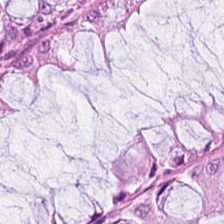Finding — benign colonic mucosa.
